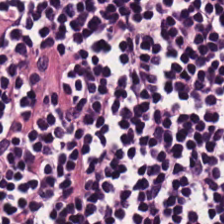Q: What is shown here?
A: This is lymphocytic infiltrate.
